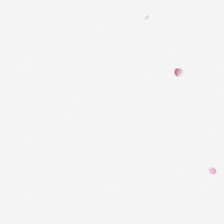H&E-stained tissue section; formalin-fixed paraffin-embedded section — Q: What is shown in this field?
A: Background.
